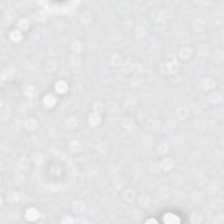Hematoxylin-and-eosin stained section. Field content: background (no tissue).
